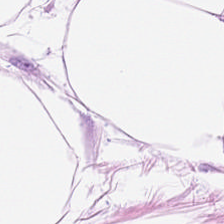Whole-slide-image patch. 0.5 µm per pixel. Hematoxylin and eosin. Tissue class: adipose tissue.
